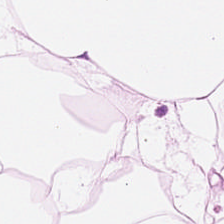0.5 µm per pixel; hematoxylin and eosin — The predominant tissue is adipose.
